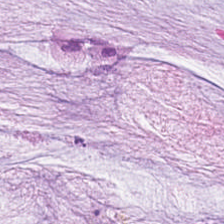Tissue — mucus.
